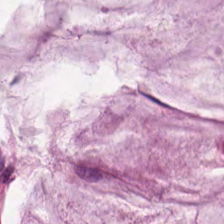Formalin-fixed paraffin-embedded section · hematoxylin and eosin — Q: Identify the tissue.
A: This is mucin.
